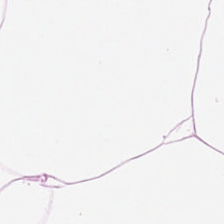Hematoxylin and eosin — The tissue here is adipocytes.
